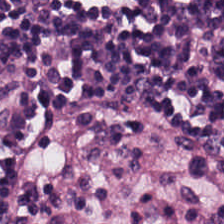Q: Identify the tissue.
A: Lymphocytes.
